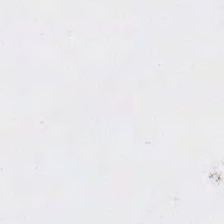H&E-stained tissue section.
Histology → no tissue.
